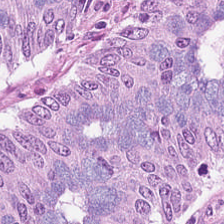H&E stain; FFPE tissue section — The predominant tissue is tumor epithelium.
